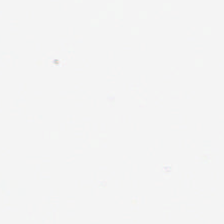Stain: H&E stain.
Content: empty background.
